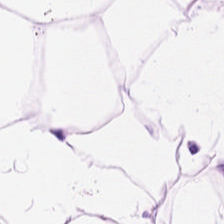H&E patch showing adipose tissue.
